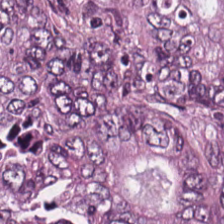H&E stain. This patch shows tumor epithelium.
